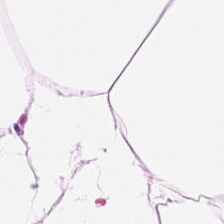Hematoxylin and eosin.
Q: What is shown here?
A: It is adipose.
